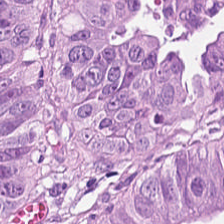Hematoxylin-and-eosin stained section.
The tissue here is adenocarcinoma.
